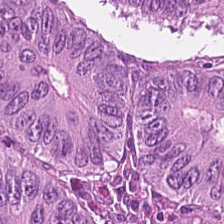Brightfield; FFPE tissue section; H&E stain. Adenocarcinoma.
